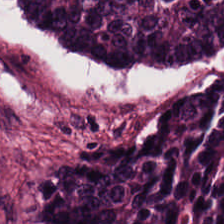This patch shows tumor epithelium.
